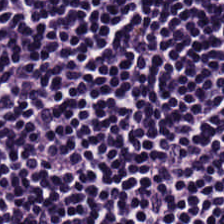H&E.
Predominantly lymphoid infiltrate.
